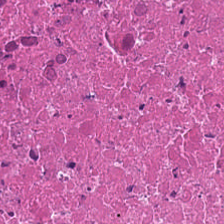FFPE tissue section; brightfield microscopy; H&E — Q: What does this patch show?
A: This is necrotic debris.
